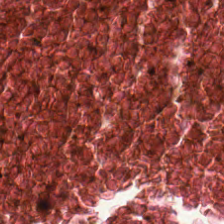Hematoxylin and eosin — Q: What is shown here?
A: The field shows debris.
